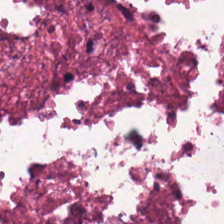H&E stain.
This field is debris.
